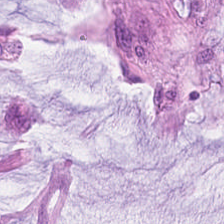224×224 px tile; hematoxylin-and-eosin stained section — The predominant tissue is extracellular mucin.
